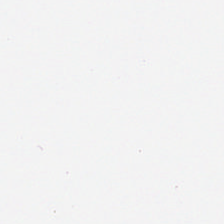224×224 px tile · hematoxylin-and-eosin stained section — Impression — background (no tissue).
